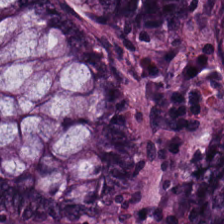Hematoxylin-and-eosin stained section. Q: What is the predominant tissue type?
A: The field shows normal colon mucosa.
